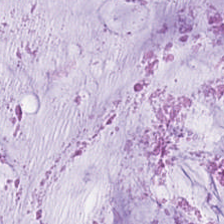The predominant tissue is mucin.
